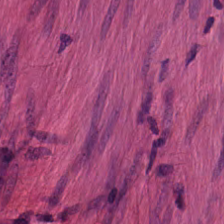H&E-stained section; the field shows smooth-muscle tissue.
